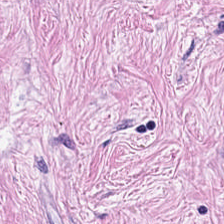Formalin-fixed paraffin-embedded section; H&E-stained tissue section — Tissue — desmoplastic stroma.
